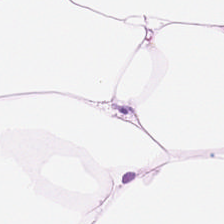20× equivalent magnification. FFPE tissue section. H&E-stained tissue section.
Showing adipose.
